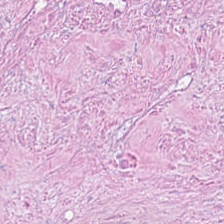Q: What does this patch show?
A: The field shows debris.
